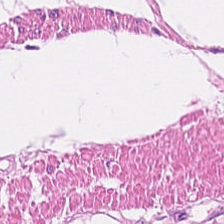224×224 px patch. Hematoxylin and eosin — The predominant tissue is smooth muscle.
